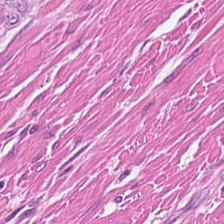Stain: H&E-stained tissue section.
Preparation: FFPE.
Acquisition: brightfield microscopy.
Tissue class: smooth-muscle tissue.
